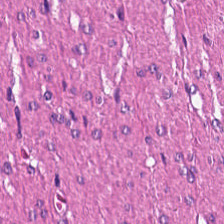0.5 µm per pixel; H&E stain; FFPE tissue section. {"tissue_type": "smooth muscle"}
